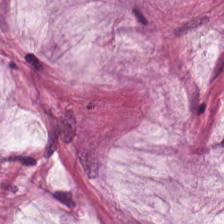H&E stain.
{"tissue_type": "extracellular mucin"}
